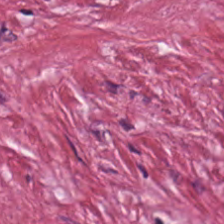224×224 px patch. H&E stain. Q: Identify the tissue.
A: Tumor-associated stroma.
